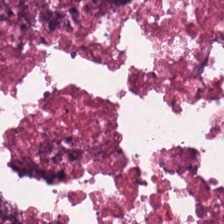Hematoxylin and eosin — Q: Classify this patch.
A: The field shows debris.
